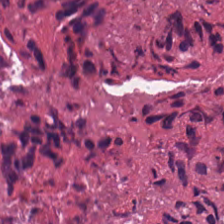H&E. {"tissue_type": "debris"}
